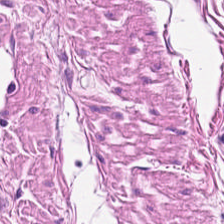H&E stain. Brightfield — {"tissue_type": "smooth-muscle tissue"}
